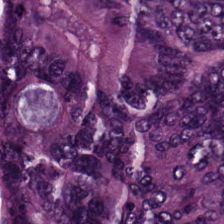Brightfield microscopy; H&E stain — Tissue type — colorectal adenocarcinoma.
